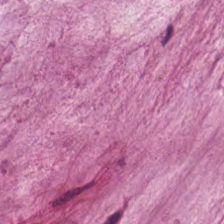Tissue = mucus.
